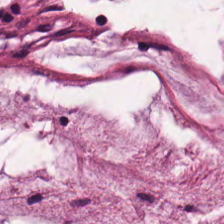H&E-stained tissue section; whole-slide-image patch.
{"tissue_type": "mucus"}
